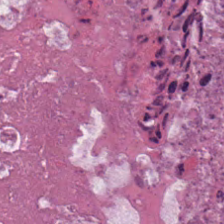H&E.
Classification = cellular debris.
